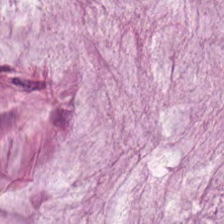H&E stain — The classification is mucin.
